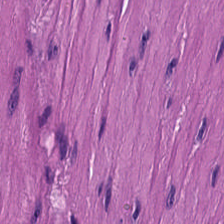H&E. 224×224 px patch. Tissue = muscularis.
